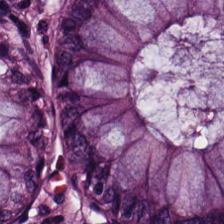Stain: hematoxylin and eosin.
Tissue type: normal colonic mucosa.
